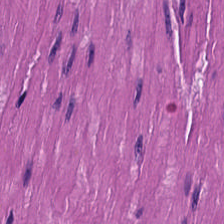Stain: H&E stain.
Classification: smooth muscle.
